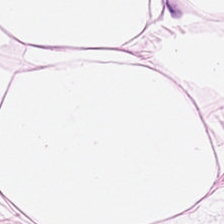Q: What does this patch show?
A: It is adipose tissue.
